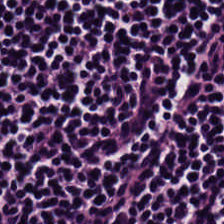Predominantly lymphocytes.
